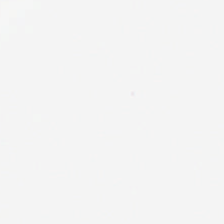Q: What is shown in this field?
A: The field shows background (no tissue).
